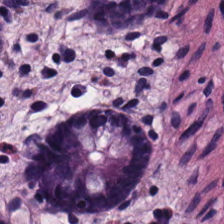0.5 microns per pixel. H&E-stained tissue section — The predominant tissue is benign colonic mucosa.
